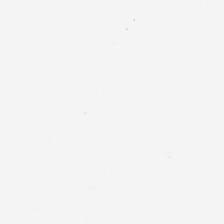Stain: H&E.
Acquisition: WSI patch.
Classification: background (no tissue).
